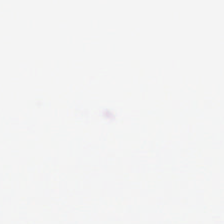Whole-slide-image patch; H&E-stained tissue section.
Content = background.
